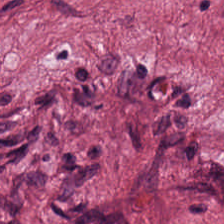Hematoxylin-and-eosin stained section. 0.5 microns per pixel.
Classification — tumor stroma.
